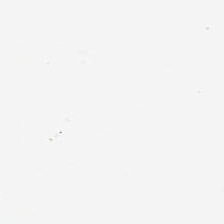Stain: hematoxylin-and-eosin stained section.
Field content: no tissue.
